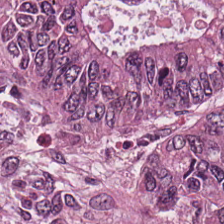H&E — Predominantly colorectal adenocarcinoma.
